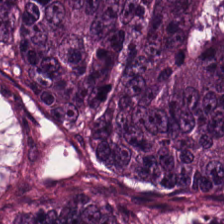Stain: H&E.
Classification: adenocarcinoma.
